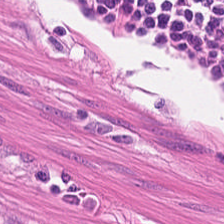H&E stain — Q: Classify this patch.
A: The field shows smooth-muscle tissue.
